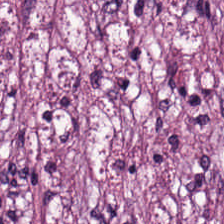Brightfield microscopy · H&E stain — This patch shows tumor stroma.
